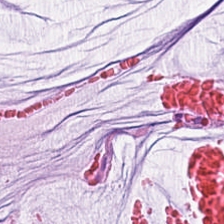H&E-stained tissue section. Predominantly mucin.
